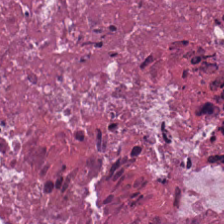H&E; 224×224 px patch.
Impression — cellular debris.
